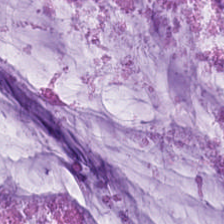Stain: hematoxylin-and-eosin stained section.
Acquisition: whole-slide-image patch.
Predominant tissue: extracellular mucin.
